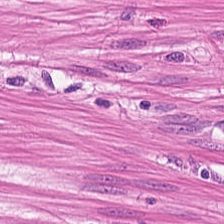Q: What type of tissue is this?
A: Smooth-muscle tissue.
